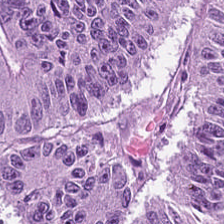Hematoxylin-and-eosin stained section; 0.5 microns per pixel.
Showing colorectal adenocarcinoma.
